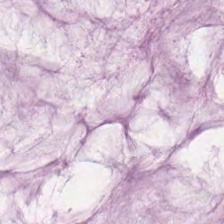Showing mucus.
